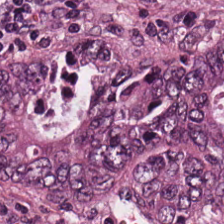0.5 µm per pixel · hematoxylin-and-eosin stained section — The tissue here is adenocarcinoma.
